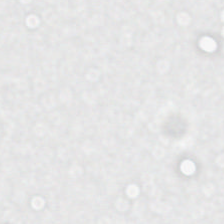Hematoxylin and eosin. The classification is no tissue.
